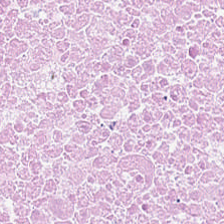This patch shows debris.
